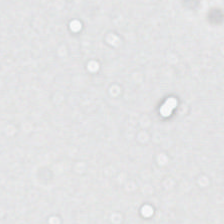H&E — Classification = background (no tissue).
